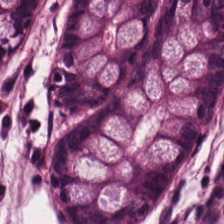Hematoxylin-and-eosin stained section · 224×224 px tile · brightfield microscopy.
This patch shows normal colonic mucosa.
